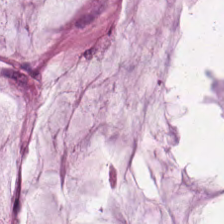H&E-stained section; the field shows extracellular mucin.
